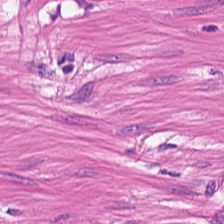Hematoxylin-and-eosin stained section — Q: What is shown in this field?
A: Smooth-muscle tissue.
